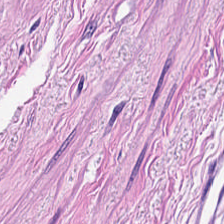Stain: hematoxylin-and-eosin stained section.
Tissue type: smooth-muscle tissue.
